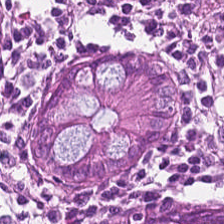H&E-stained tissue section.
{"tissue_type": "normal colonic mucosa"}
